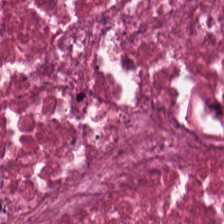Hematoxylin-and-eosin stained section.
Tissue class — necrotic debris.
